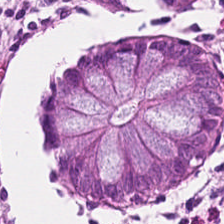H&E-stained tissue section. Impression — non-neoplastic colon mucosa.
